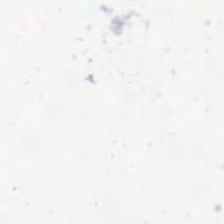H&E stain; formalin-fixed paraffin-embedded section. Q: Classify this patch.
A: Background.
